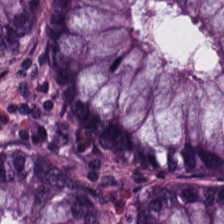Hematoxylin and eosin. Tissue class = normal colonic mucosa.
